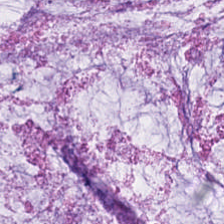H&E; 0.5 µm per pixel; brightfield microscopy.
This patch shows extracellular mucin.
